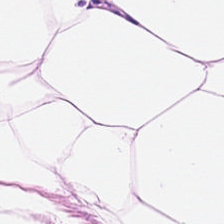WSI patch. Hematoxylin-and-eosin stained section. Adipose.
